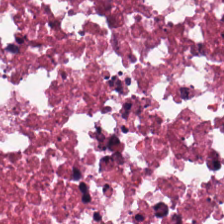H&E stain.
Classification = necrotic debris.
